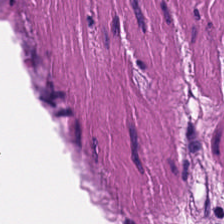Hematoxylin-and-eosin stained section — The tissue here is smooth muscle.
